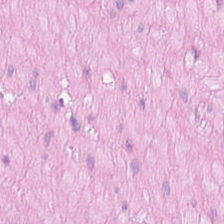Hematoxylin and eosin; formalin-fixed paraffin-embedded section; WSI patch.
Predominantly smooth muscle.
